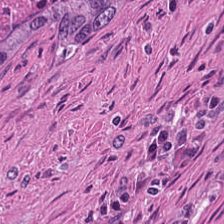Stain: H&E stain.
Resolution: 0.5 microns per pixel.
Classification: debris.
